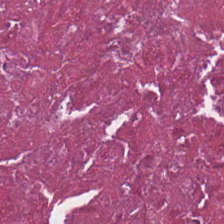H&E — This patch shows necrotic debris.
